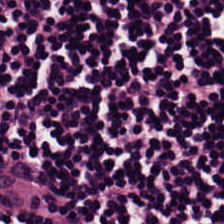Whole-slide-image patch; hematoxylin-and-eosin stained section — Q: What is the predominant tissue type?
A: Lymphocyte aggregate.
